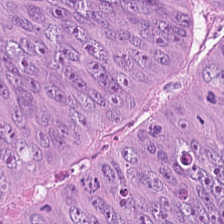Hematoxylin-and-eosin stained section. 224×224 px patch.
Predominant tissue: malignant epithelium.
